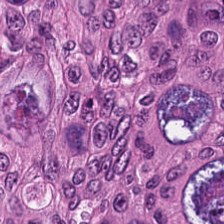Predominant tissue = malignant epithelium.
